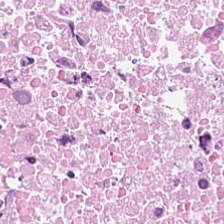H&E-stained tissue section. Q: What is shown here?
A: The field shows debris.
